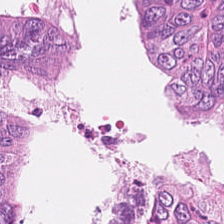Hematoxylin and eosin. 224×224 pixel tile.
Tissue class: colorectal adenocarcinoma epithelium.
